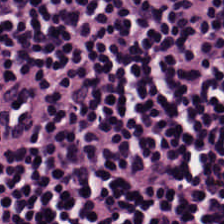H&E. FFPE tissue section. Whole-slide-image patch. Q: What tissue type is shown here?
A: It is lymphocytic infiltrate.
